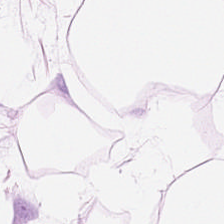Hematoxylin and eosin; 224×224 pixel tile; brightfield microscopy. This field is fat tissue.
